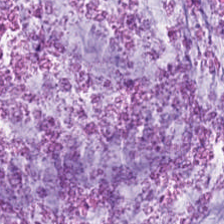H&E stain. Tissue class: mucin.
